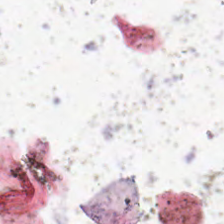Empty field — no tissue.
